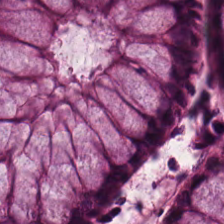Stain: hematoxylin-and-eosin stained section.
Predominant tissue: non-neoplastic colon mucosa.
